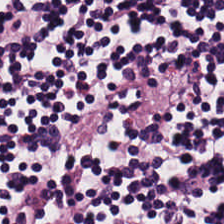H&E-stained tissue section — Tissue — lymphocytes.
